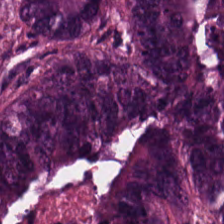H&E-stained tissue section.
{"tissue_type": "colorectal adenocarcinoma epithelium"}
